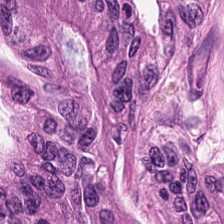Histology — colorectal adenocarcinoma epithelium.
